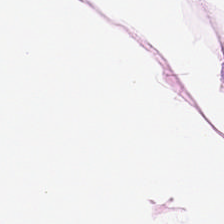H&E stain; FFPE — Showing adipose tissue.
